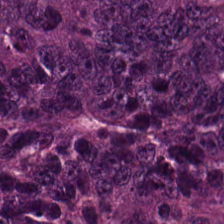Histology → colorectal adenocarcinoma epithelium.
